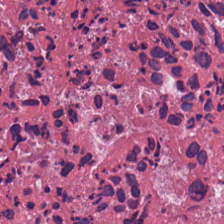Hematoxylin and eosin — Tissue type = debris.
